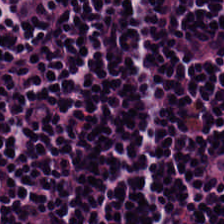Hematoxylin and eosin · 224×224 px patch. Showing lymphocytic infiltrate.
